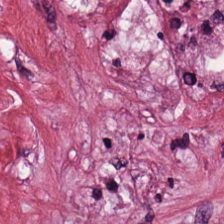0.5 µm/px; hematoxylin-and-eosin stained section. Tissue type: desmoplastic stroma.
